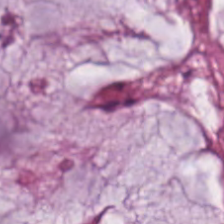Stain: hematoxylin-and-eosin stained section.
Tissue type: mucus.
